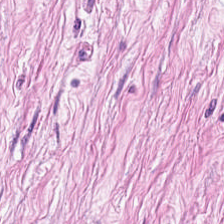224×224 px patch · hematoxylin and eosin · 0.5 µm per pixel. Impression → desmoplastic stroma.
